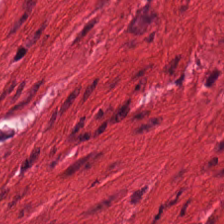H&E. Tissue type — smooth muscle.
